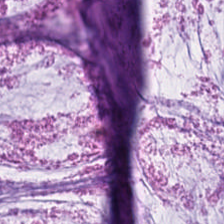20× equivalent magnification. Hematoxylin-and-eosin stained section. Histology → extracellular mucin.
